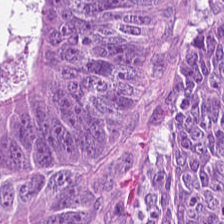Stain: hematoxylin and eosin.
Preparation: formalin-fixed paraffin-embedded section.
Tissue: adenocarcinoma.
